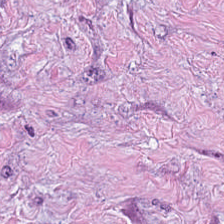Histology — tumor stroma.
